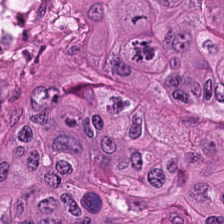The tissue here is tumor epithelium.
